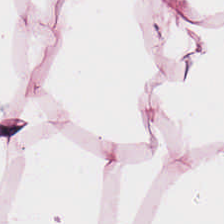H&E stain. Brightfield microscopy. Fat tissue.
